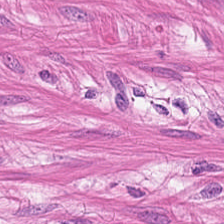H&E stain · 0.5 µm per pixel. {"tissue_type": "smooth muscle"}
